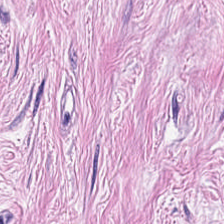H&E · FFPE — Q: What is shown in this field?
A: The field shows tumor-associated stroma.
